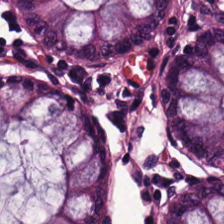H&E-stained tissue section. Predominantly non-neoplastic colon mucosa.
